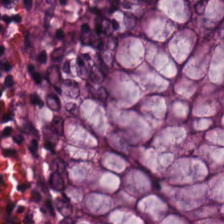224×224 px tile; H&E; 0.5 µm per pixel — Q: Identify the tissue.
A: This is non-neoplastic colon mucosa.
